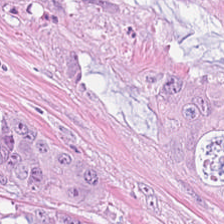Tissue class — colorectal adenocarcinoma epithelium.
